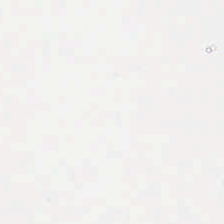Stain: H&E.
Content: no tissue.
